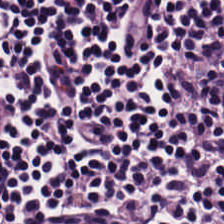Stain: H&E stain.
Resolution: 20× equivalent magnification.
Tissue class: lymphoid infiltrate.
